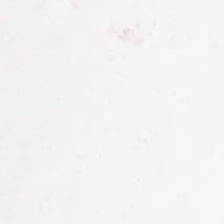WSI patch. H&E stain. 224×224 px patch. Classification — empty background.
